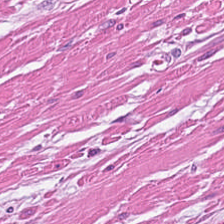H&E stain; WSI patch.
The tissue here is smooth muscle.
